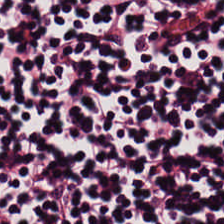H&E-stained tissue section. Finding → lymphocyte aggregate.
